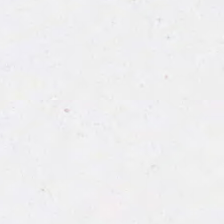H&E stain. Q: Classify this patch.
A: It is background (no tissue).
